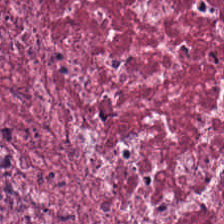The tissue type is desmoplastic stroma.
